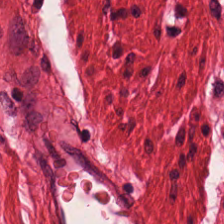Hematoxylin and eosin · 224×224 px patch.
Tissue = smooth muscle.
